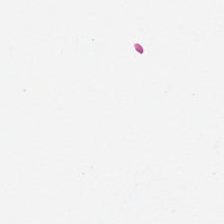Empty field — empty background.
